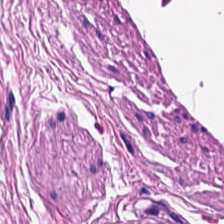H&E · whole-slide-image patch. Classification = smooth muscle.
